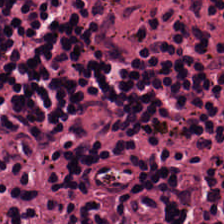FFPE · H&E-stained tissue section. Lymphoid infiltrate.
